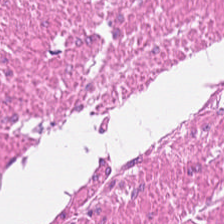Hematoxylin and eosin.
Muscularis.
